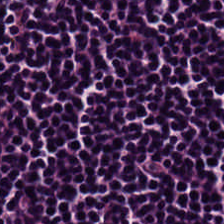Stain: hematoxylin and eosin.
Tissue: lymphocytes.
